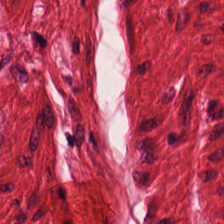Hematoxylin-and-eosin stained section.
Q: What type of tissue is this?
A: This is muscularis.
